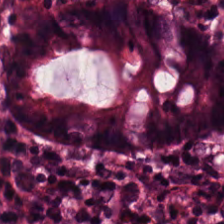0.5 microns per pixel · H&E stain — Predominantly normal colonic mucosa.
